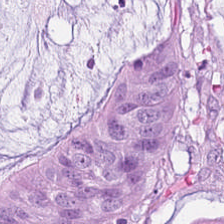H&E stain — The tissue here is mucus.
